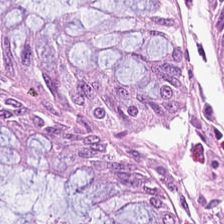H&E-stained tissue section. 224×224 px tile. Brightfield microscopy — Tissue type — non-neoplastic colon mucosa.
